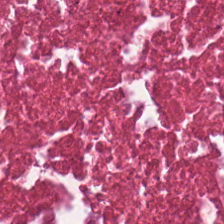H&E-stained tissue section. 224×224 px patch — Predominantly debris.
